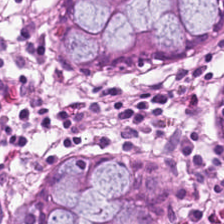224×224 pixel tile; H&E-stained tissue section — Classification: benign colonic mucosa.
